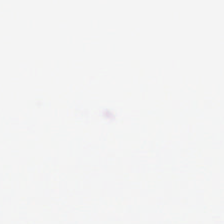Q: What does this patch show?
A: This is no tissue.
